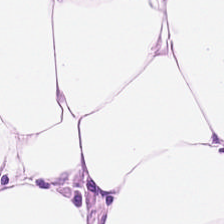H&E-stained section; the field shows adipose.
